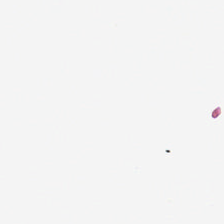Hematoxylin-and-eosin stained section · FFPE.
This patch shows no tissue.
